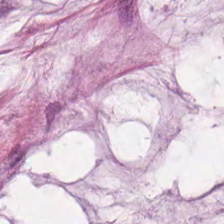Q: Identify the tissue.
A: This is mucus.
